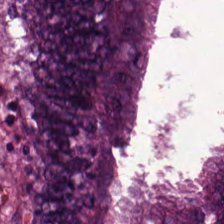Stain: H&E stain.
Tissue type: colorectal adenocarcinoma epithelium.
